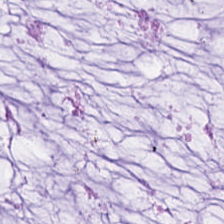H&E stain.
Q: Classify this patch.
A: The field shows extracellular mucin.
